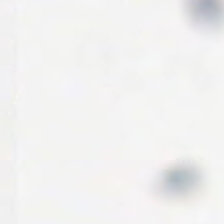Finding → empty background.
